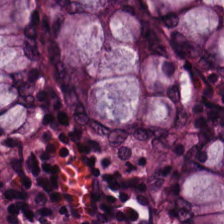Q: What tissue type is shown here?
A: Non-neoplastic colon mucosa.
